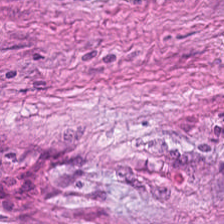H&E-stained tissue section. Impression — tumor-associated stroma.
